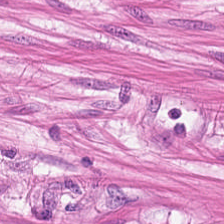Hematoxylin and eosin. 20× equivalent magnification. Brightfield. Showing muscularis.
